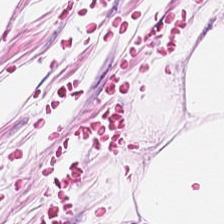H&E stain.
Tissue: adipose.
